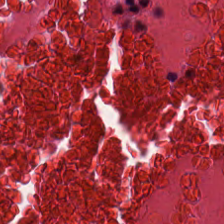Classification: debris.
